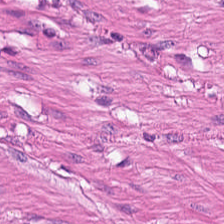H&E stain — Q: What does this patch show?
A: This is smooth muscle.
